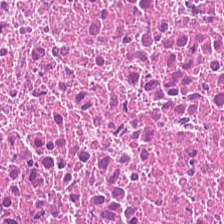Hematoxylin-and-eosin stained section; 224×224 px tile. Predominant tissue — necrotic debris.
